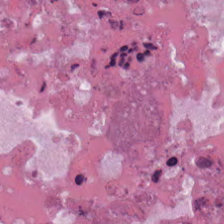H&E-stained tissue section.
Predominant tissue: debris.
